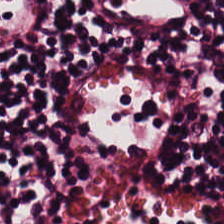Hematoxylin-and-eosin stained section. Formalin-fixed paraffin-embedded section. Whole-slide-image patch.
Finding → lymphocytic infiltrate.
